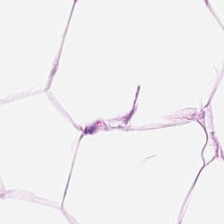H&E-stained tissue section; FFPE. Predominantly fat tissue.
